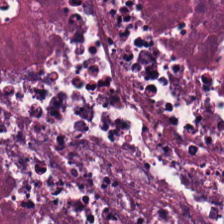Brightfield · H&E stain. Tissue type: necrotic debris.
